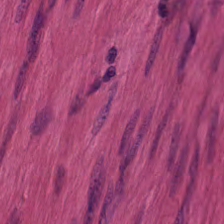H&E stain.
Predominantly muscularis.
